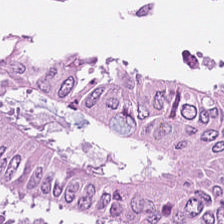Hematoxylin-and-eosin stained section. Colorectal adenocarcinoma.
